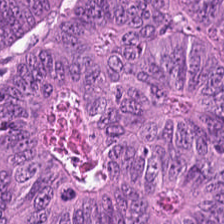H&E-stained tissue section.
Tissue type = colorectal adenocarcinoma.
